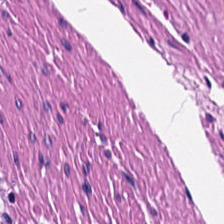Muscularis.
